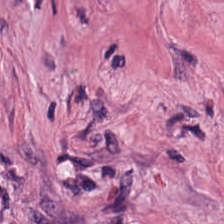0.5 microns per pixel · H&E. Q: What tissue is shown?
A: The field shows tumor-associated stroma.
